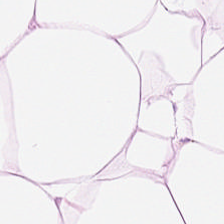Stain: hematoxylin-and-eosin stained section.
Tissue: adipose tissue.
